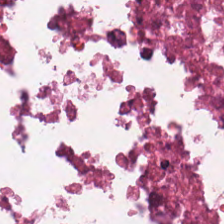H&E.
Predominant tissue — cellular debris.
